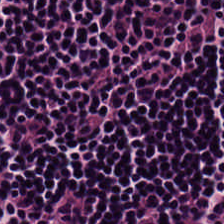H&E. Predominantly lymphocyte aggregate.
